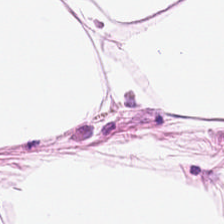H&E stain; whole-slide-image patch; 224×224 pixel tile — Predominant tissue — adipose tissue.
